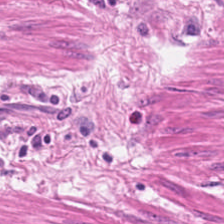H&E. Tissue = muscularis.
